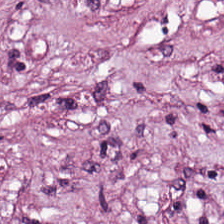Hematoxylin-and-eosin stained section.
Q: What is the predominant tissue type?
A: It is tumor stroma.
